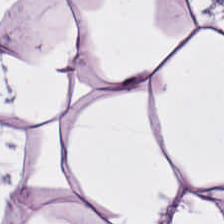0.5 microns per pixel · FFPE tissue section · H&E — Impression → fat tissue.
